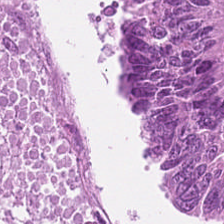H&E-stained tissue section. The tissue class is colorectal adenocarcinoma epithelium.
